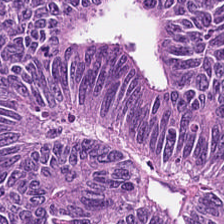Stain: H&E.
Classification: tumor epithelium.
